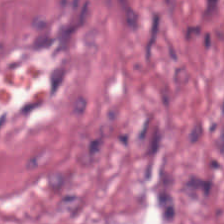Brightfield · H&E-stained tissue section — The classification is tumor stroma.
